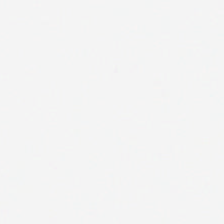Stain: H&E-stained tissue section.
Classification: no tissue.
